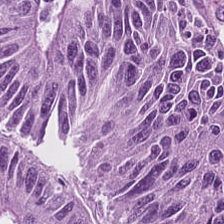H&E-stained tissue section — Q: What does this patch show?
A: The field shows malignant epithelium.
